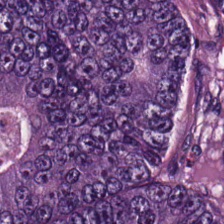H&E stain.
The predominant tissue is malignant epithelium.
